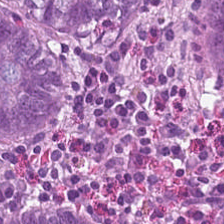0.5 µm per pixel · hematoxylin-and-eosin stained section · 224×224 pixel tile — Classification: non-neoplastic colon mucosa.
